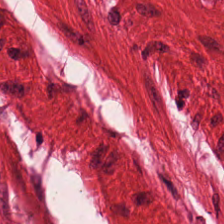224×224 px tile; H&E; FFPE tissue section.
This field is smooth-muscle tissue.
